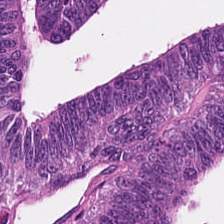Predominantly colorectal adenocarcinoma epithelium.
